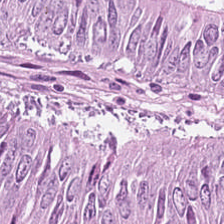Q: What is shown here?
A: Adenocarcinoma.
